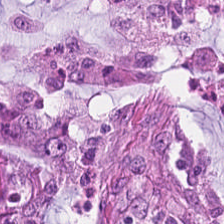Stain: hematoxylin-and-eosin stained section.
Tissue type: tumor epithelium.
